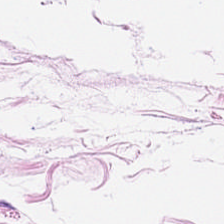H&E stain — Q: What type of tissue is this?
A: This is fat tissue.
